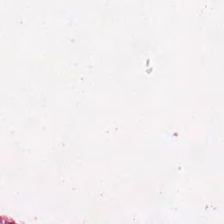H&E stain — Predominantly cellular debris.
